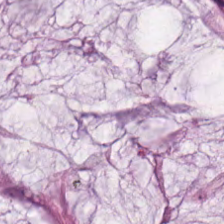H&E stain. 224×224 px patch. FFPE tissue section.
Histology → mucin.
